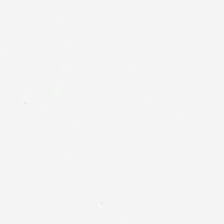H&E-stained tissue section. Q: What is shown here?
A: Empty background.
